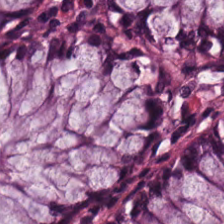Q: What type of tissue is this?
A: The field shows normal colon mucosa.
